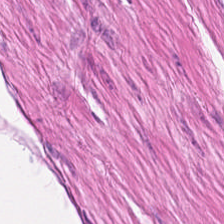Hematoxylin and eosin — Tissue type = muscularis.
